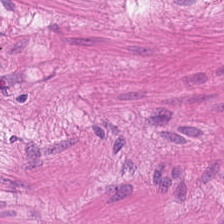Hematoxylin-and-eosin stained section. 20× equivalent magnification. Predominant tissue: smooth-muscle tissue.
